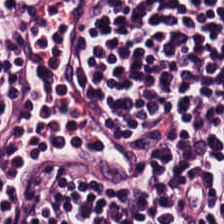224×224 px tile; H&E stain. Lymphocytes.
